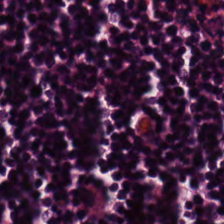Hematoxylin and eosin.
Predominantly lymphocytic infiltrate.
